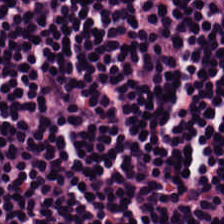20× equivalent magnification · hematoxylin-and-eosin stained section.
Q: What tissue is shown?
A: This is lymphocyte aggregate.
